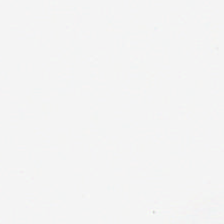Hematoxylin and eosin. 224×224 pixel tile. 0.5 µm per pixel — This patch shows no tissue.
